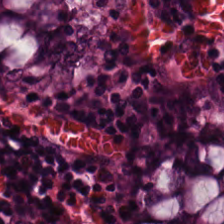FFPE tissue section · H&E-stained tissue section · 0.5 µm/px — Tissue — normal colon mucosa.
